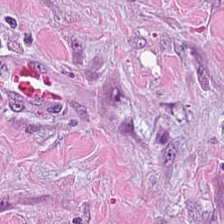H&E stain. This field is tumor stroma.
